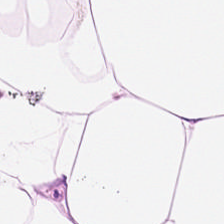{"tissue_type": "adipose tissue"}
